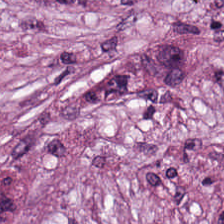WSI patch. H&E stain. FFPE tissue section.
This field is tumor-associated stroma.
